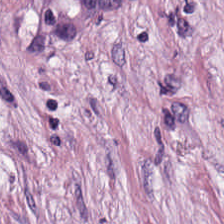Hematoxylin-and-eosin stained section.
Predominant tissue — cancer-associated stroma.
